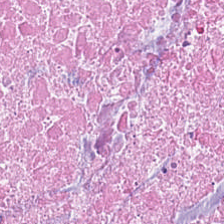This patch shows debris.
